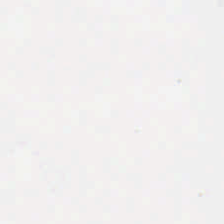0.5 µm/px · whole-slide-image patch · hematoxylin and eosin.
Field content: no tissue.
